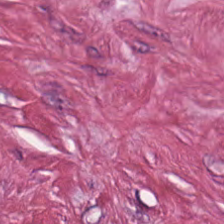Stain: H&E stain.
Resolution: 20× equivalent magnification.
Acquisition: brightfield microscopy.
Tissue type: tumor stroma.
